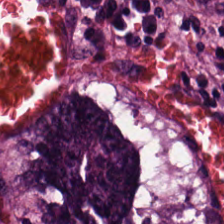Q: What type of tissue is this?
A: It is colorectal adenocarcinoma.
